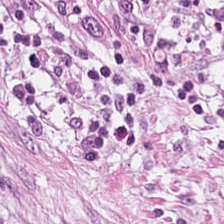H&E stain.
Q: Classify this patch.
A: It is tumor-associated stroma.
